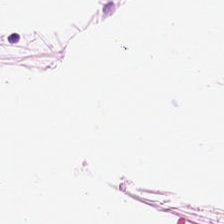Hematoxylin and eosin. This patch shows adipose tissue.
